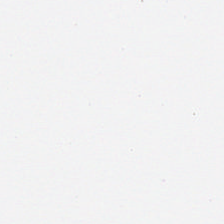Hematoxylin-and-eosin stained section · formalin-fixed paraffin-embedded section — Content = empty background.
